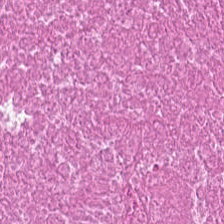Predominantly necrotic debris.
